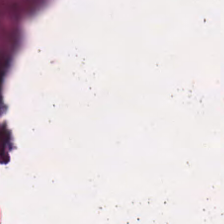Stain: H&E stain.
Predominant tissue: debris.
